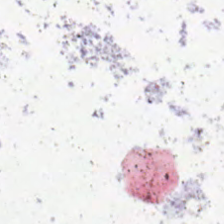Whole-slide-image patch. H&E. FFPE tissue section.
{"content": "empty background"}
